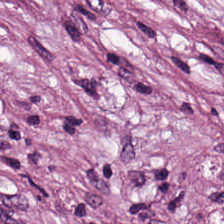Stain: H&E.
Predominant tissue: tumor-associated stroma.
